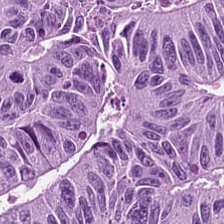Stain: H&E.
Tissue class: colorectal adenocarcinoma epithelium.
